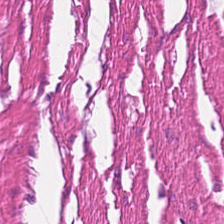H&E — The predominant tissue is smooth muscle.
